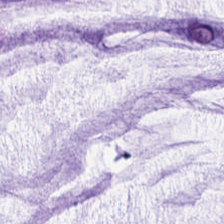Histology — extracellular mucin.
